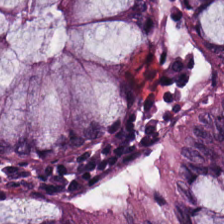0.5 µm/px; hematoxylin and eosin — Q: Identify the tissue.
A: Non-neoplastic colon mucosa.
